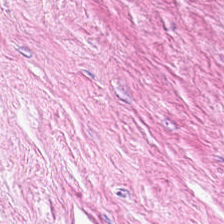Impression → cancer-associated stroma.
